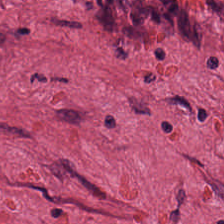Hematoxylin-and-eosin stained section. Whole-slide-image patch. FFPE. Tumor-associated stroma.
